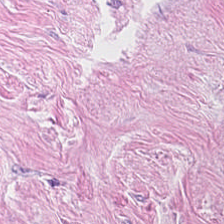H&E-stained tissue section — This patch shows desmoplastic stroma.
